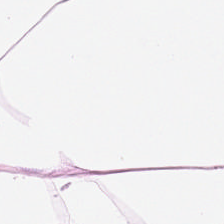Hematoxylin-and-eosin stained section. {"tissue_type": "fat tissue"}
